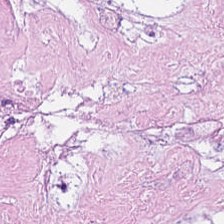H&E-stained tissue section.
Finding → cellular debris.
